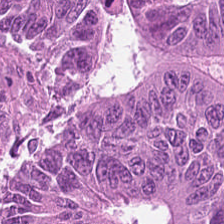Classification: tumor epithelium.
